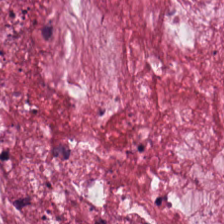Hematoxylin-and-eosin stained section; 224×224 px tile. Q: Classify this patch.
A: The field shows mucin.
